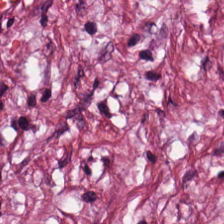Predominant tissue = desmoplastic stroma.
